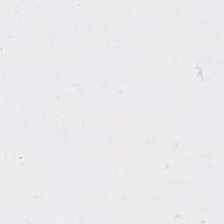H&E. Q: What is shown in this field?
A: It is background.
